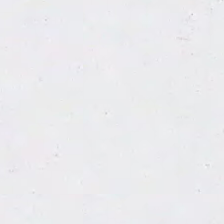Whole-slide-image patch; formalin-fixed paraffin-embedded section; hematoxylin and eosin — Q: What is shown here?
A: The field shows background (no tissue).
